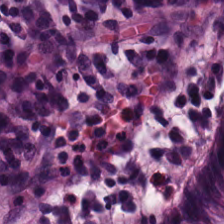H&E stain.
The tissue is non-neoplastic colon mucosa.
